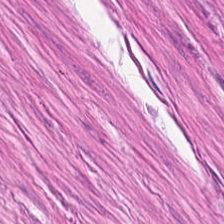H&E — muscularis.
